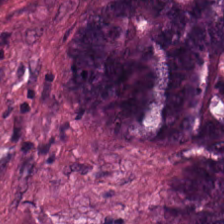Hematoxylin and eosin — The tissue class is tumor epithelium.
